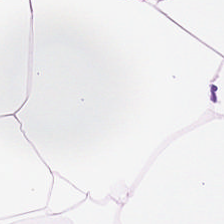Stain: hematoxylin and eosin.
Classification: adipose tissue.
